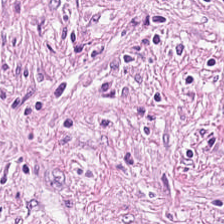H&E-stained tissue section showing tumor-associated stroma.
